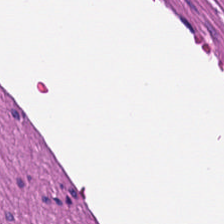Hematoxylin-and-eosin stained section. Brightfield microscopy — The tissue here is muscularis.
